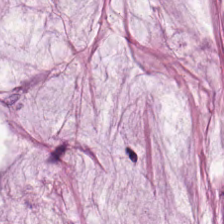Formalin-fixed paraffin-embedded section. H&E.
Q: What is shown here?
A: Extracellular mucin.
